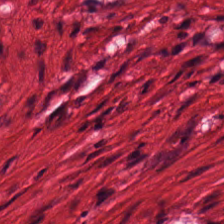20× equivalent magnification. H&E-stained tissue section — The predominant tissue is smooth muscle.
